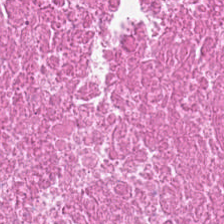224×224 pixel tile · H&E-stained tissue section. Predominantly debris.
